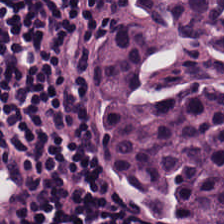Hematoxylin-and-eosin stained section. Impression — lymphoid infiltrate.
